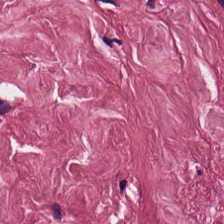Stain: hematoxylin and eosin.
Classification: desmoplastic stroma.
